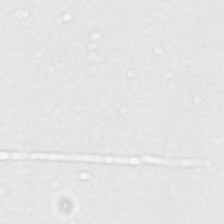Stain: H&E-stained tissue section.
Field content: no tissue.
